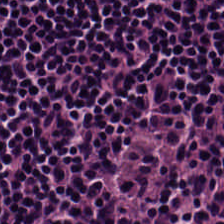Hematoxylin-and-eosin stained section. Impression → lymphocytes.
